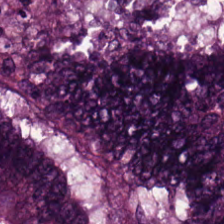Hematoxylin and eosin — {"tissue_type": "colorectal adenocarcinoma epithelium"}
